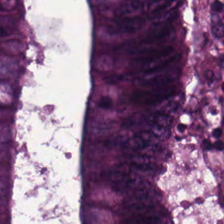Hematoxylin and eosin — Predominant tissue: tumor epithelium.
